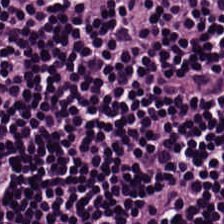Hematoxylin-and-eosin stained section · FFPE tissue section.
Q: What is shown in this field?
A: This is lymphocytes.
